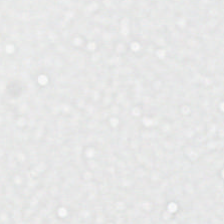Stain: H&E-stained tissue section.
Tile size: 224×224 px patch.
Classification: no tissue.
